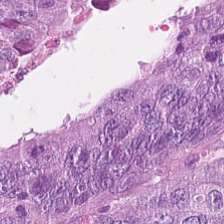20× equivalent magnification · H&E · 224×224 pixel tile — The tissue here is colorectal adenocarcinoma.
